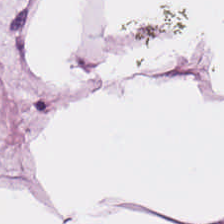224×224 px patch; hematoxylin-and-eosin stained section; 0.5 µm/px — The predominant tissue is adipose.
